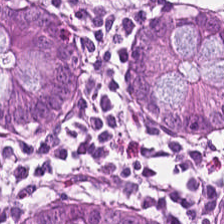Stain: H&E-stained tissue section.
Tissue class: non-neoplastic colon mucosa.
